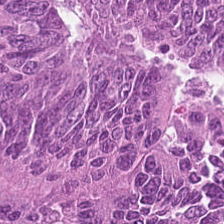H&E stain · 224×224 px patch.
Impression → malignant epithelium.
